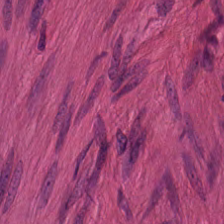Formalin-fixed paraffin-embedded section. H&E. The tissue class is muscularis.
